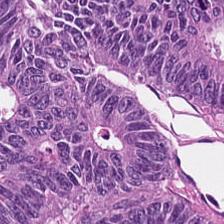H&E stain · FFPE — Q: What tissue is shown?
A: This is colorectal adenocarcinoma epithelium.
